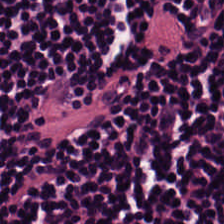Hematoxylin-and-eosin stained section.
Finding → lymphoid infiltrate.
